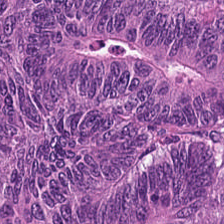H&E.
{"tissue_type": "colorectal adenocarcinoma"}
